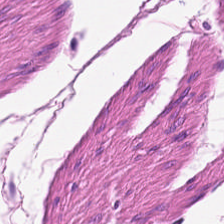H&E stain — Q: What tissue is shown?
A: It is smooth-muscle tissue.
